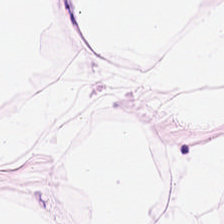H&E. The tissue here is adipose.
